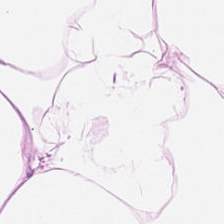0.5 microns per pixel. Hematoxylin and eosin. 224×224 px tile.
Adipose.
